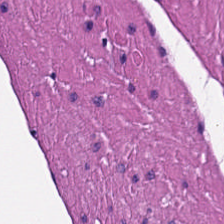H&E; FFPE — The tissue is muscularis.
